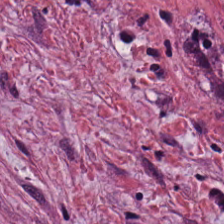Brightfield · H&E.
Tissue — tumor stroma.
